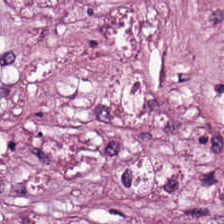H&E stain; WSI patch. Predominantly tumor-associated stroma.
